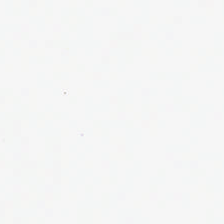Hematoxylin-and-eosin stained section. Histology → empty background.
